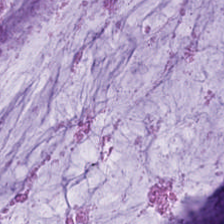Q: What tissue is shown?
A: The field shows extracellular mucin.
